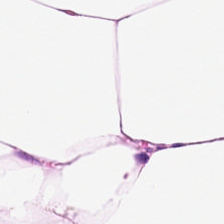Hematoxylin-and-eosin stained section. 224×224 px patch. Adipocytes.
